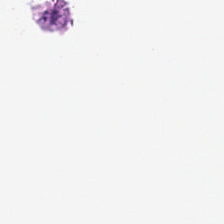Hematoxylin and eosin — No tissue present; background only.
